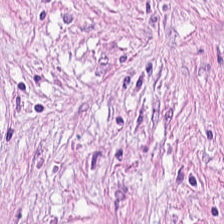Hematoxylin-and-eosin stained section. Predominant tissue = cancer-associated stroma.
